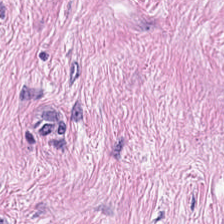Histology → tumor-associated stroma.
